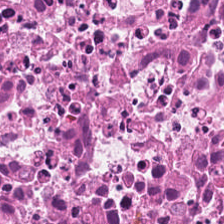224×224 px tile. 0.5 µm per pixel. Hematoxylin and eosin. This field is cellular debris.
